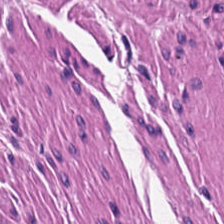Smooth muscle.
